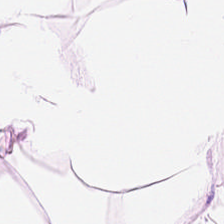Tissue class = fat tissue.
